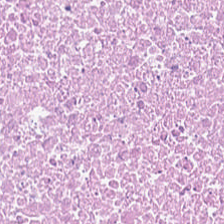H&E stain.
The tissue class is cellular debris.
